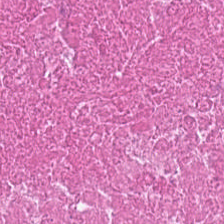FFPE; 224×224 px tile; hematoxylin and eosin — Tissue — cellular debris.
